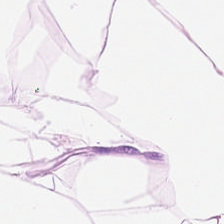H&E-stained tissue section — Tissue class = fat tissue.
